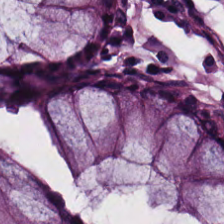The tissue class is non-neoplastic colon mucosa.
